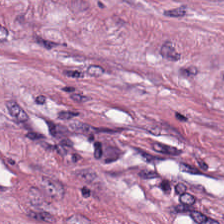WSI patch; hematoxylin and eosin — Predominant tissue = tumor stroma.
